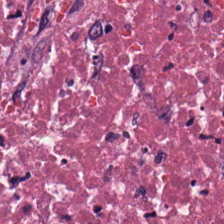224×224 px tile; H&E stain; 0.5 µm per pixel. Necrotic debris.
